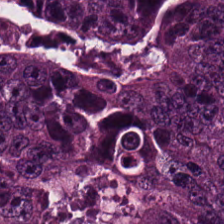{"tissue_type": "malignant epithelium"}
